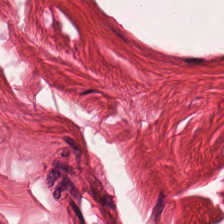Stain: H&E.
Classification: muscularis.
